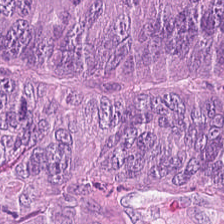Hematoxylin-and-eosin stained section — Q: What is shown here?
A: It is colorectal adenocarcinoma epithelium.
